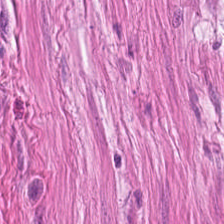Hematoxylin and eosin — Q: What type of tissue is this?
A: The field shows smooth-muscle tissue.
